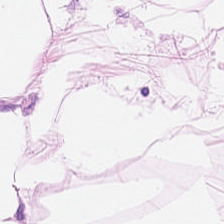H&E-stained tissue section · brightfield · 224×224 px tile — Q: What does this patch show?
A: It is adipocytes.
